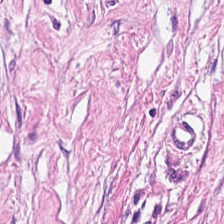Hematoxylin-and-eosin stained section.
This field is desmoplastic stroma.
